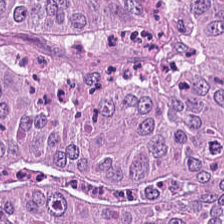Stain: H&E.
Tissue class: adenocarcinoma.
